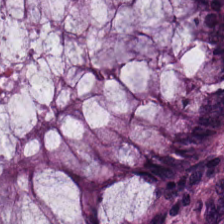FFPE. H&E stain — Finding → normal colonic mucosa.
